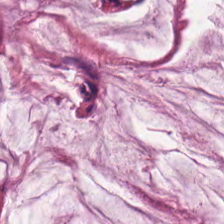FFPE tissue section. H&E-stained tissue section. 224×224 pixel tile — Tissue — extracellular mucin.
